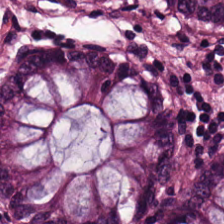Stain: H&E-stained tissue section.
Tissue: non-neoplastic colon mucosa.
